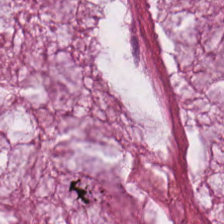224×224 px patch; H&E stain.
The predominant tissue is extracellular mucin.
